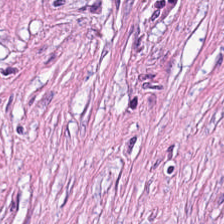Histology — desmoplastic stroma.
